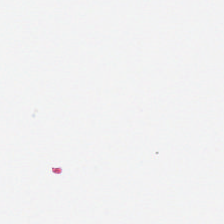H&E stain. Q: What does this patch show?
A: Background.
